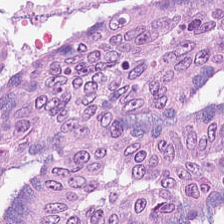H&E stain — This field is malignant epithelium.
